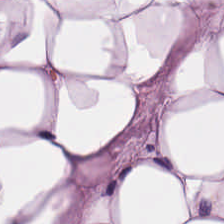H&E — This field is adipose.
